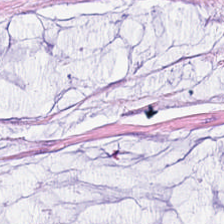This patch shows mucin.
